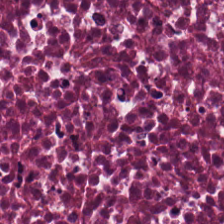H&E patch showing debris.
